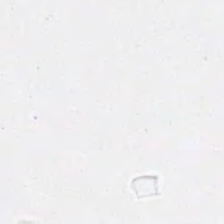Hematoxylin and eosin — Background — no tissue in this field.
